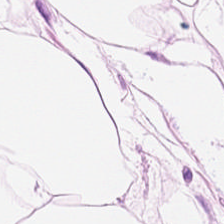Stain: H&E-stained tissue section.
Tissue type: adipocytes.
